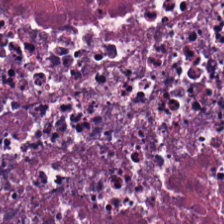224×224 pixel tile; H&E-stained tissue section — Cellular debris.
